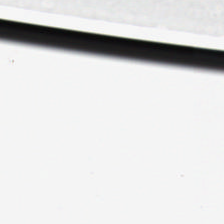Hematoxylin and eosin.
Field content = no tissue.
